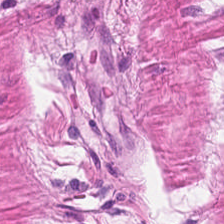Stain: H&E.
Classification: muscularis.
